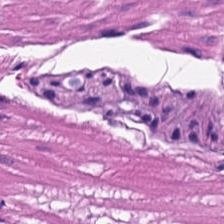H&E-stained tissue section. Smooth-muscle tissue.
